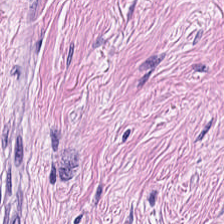0.5 microns per pixel · H&E stain · formalin-fixed paraffin-embedded section — Tumor stroma.
